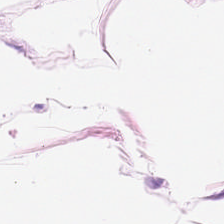Stain: hematoxylin and eosin.
Tissue type: adipose.
